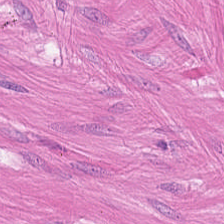Stain: H&E.
Tile size: 224×224 px patch.
Tissue: muscularis.
